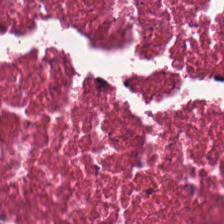H&E patch showing necrotic debris.
